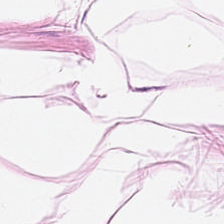H&E patch showing fat tissue.
